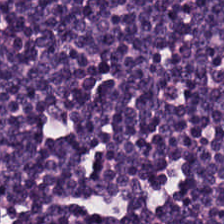Stain: H&E stain.
Tissue: lymphocyte aggregate.
